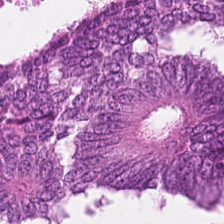Q: What tissue type is shown here?
A: It is adenocarcinoma.
